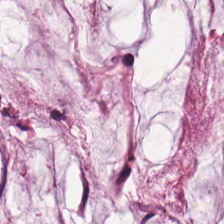0.5 µm per pixel. Hematoxylin and eosin — Classification: mucus.
